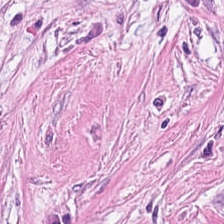0.5 µm per pixel. H&E. 224×224 px patch. Tissue: tumor stroma.
